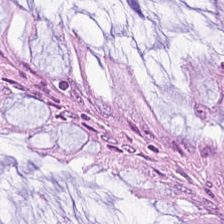Hematoxylin and eosin — The predominant tissue is benign colonic mucosa.
